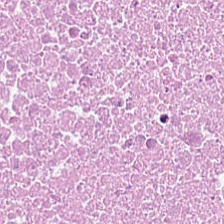Q: What tissue is shown?
A: It is cellular debris.
